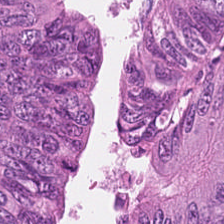H&E stain. This field is colorectal adenocarcinoma.
